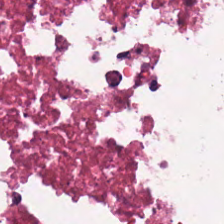H&E stain. Brightfield.
The tissue here is necrotic debris.
